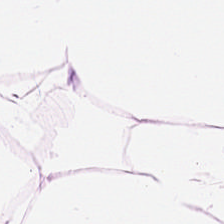Formalin-fixed paraffin-embedded section. H&E-stained tissue section. Brightfield microscopy. Tissue: adipose.
